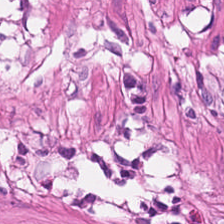Hematoxylin and eosin — Showing smooth muscle.
